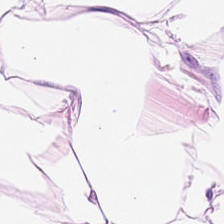Finding → adipose tissue.
